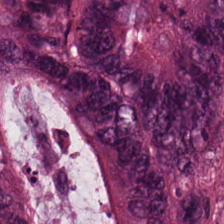Hematoxylin-and-eosin stained section. Histology — colorectal adenocarcinoma epithelium.
